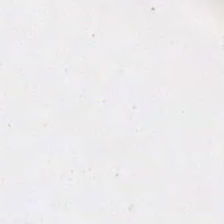224×224 pixel tile; hematoxylin-and-eosin stained section — Empty field — empty background.
